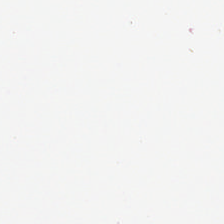Hematoxylin-and-eosin stained section. 0.5 microns per pixel. FFPE — Classification: background.
